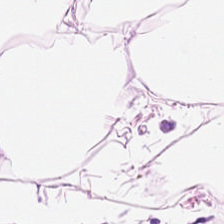H&E-stained tissue section — Q: What is shown in this field?
A: It is fat tissue.
